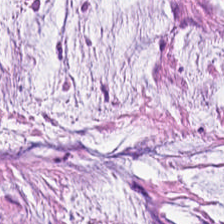Tissue class: mucin.
